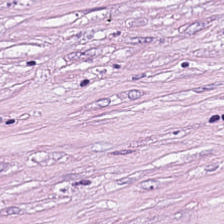Hematoxylin and eosin. This patch shows cancer-associated stroma.
